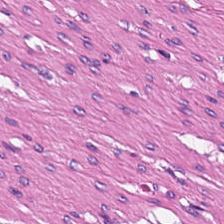Formalin-fixed paraffin-embedded section · H&E · brightfield. Q: What is shown here?
A: This is smooth-muscle tissue.
